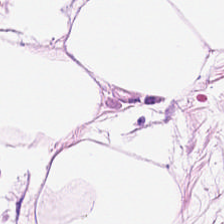20× equivalent magnification; hematoxylin and eosin. Fat tissue.
